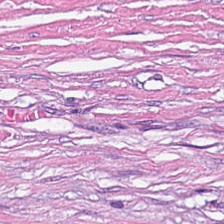H&E stain; 0.5 microns per pixel.
This field is cancer-associated stroma.
